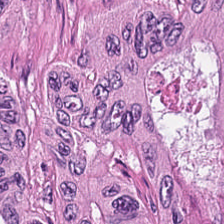Stain: H&E.
Classification: colorectal adenocarcinoma epithelium.
